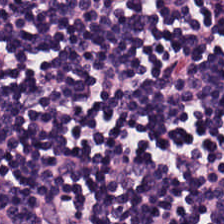Hematoxylin-and-eosin stained section — Tissue — lymphocytic infiltrate.
